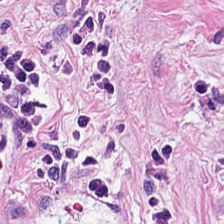Histology — desmoplastic stroma.
